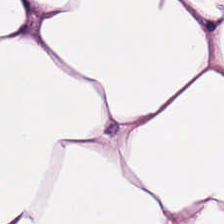Brightfield microscopy; H&E stain. This patch shows adipose.
